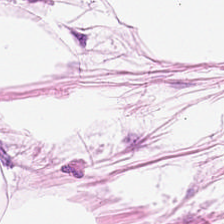Hematoxylin and eosin — {"tissue_type": "adipose tissue"}
